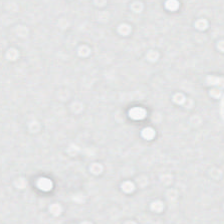Hematoxylin-and-eosin stained section — Q: What is shown in this field?
A: This is no tissue.
